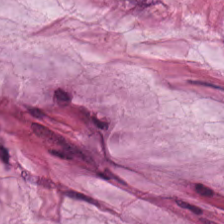H&E-stained tissue section — This patch shows mucus.
